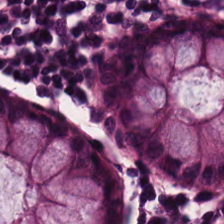H&E. Q: What tissue is shown?
A: The field shows benign colonic mucosa.
